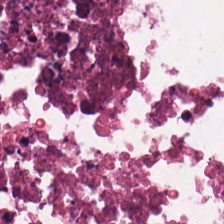H&E-stained tissue section — Q: What is the predominant tissue type?
A: The field shows necrotic debris.
